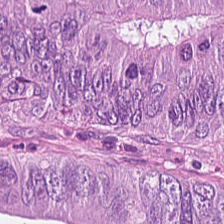Hematoxylin and eosin — Q: What type of tissue is this?
A: Colorectal adenocarcinoma.
